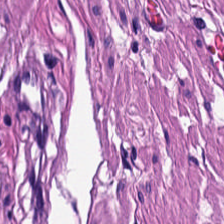Hematoxylin-and-eosin stained section; brightfield; formalin-fixed paraffin-embedded section.
{"tissue_type": "muscularis"}
